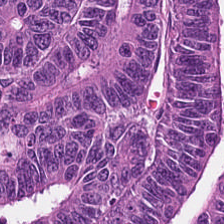Stain: H&E-stained tissue section.
Tile size: 224×224 px tile.
Classification: adenocarcinoma.
